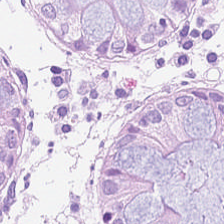The predominant tissue is normal colon mucosa.
